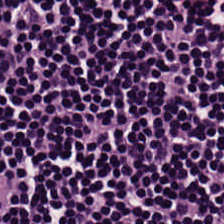Hematoxylin and eosin. Tissue type: lymphoid infiltrate.
